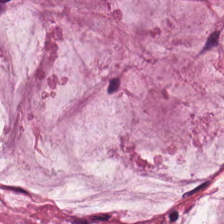H&E. Predominant tissue — extracellular mucin.
